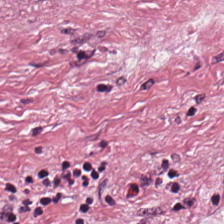Hematoxylin and eosin. The predominant tissue is tumor-associated stroma.
